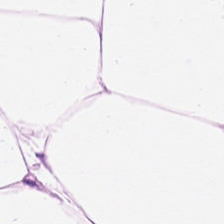H&E-stained tissue section. Predominantly fat tissue.
